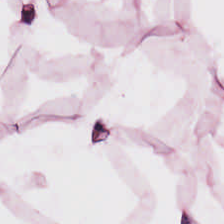Showing fat tissue.
